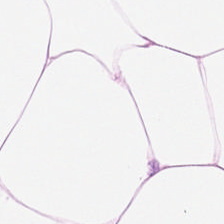H&E-stained tissue section. This patch shows adipocytes.
